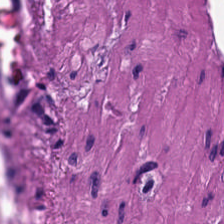Hematoxylin-and-eosin stained section — Finding → muscularis.
